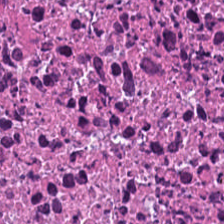H&E-stained tissue section — Predominantly debris.
